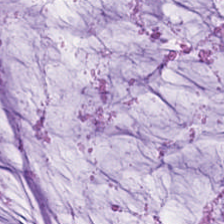Mucus.
